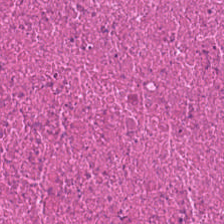FFPE tissue section · 0.5 µm/px · hematoxylin-and-eosin stained section.
Debris.
